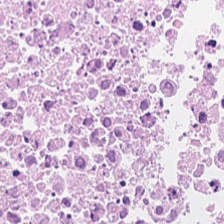WSI patch · 224×224 px tile · hematoxylin and eosin — The tissue is necrotic debris.
